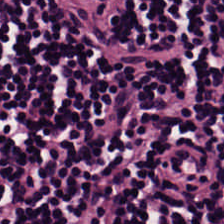FFPE; hematoxylin-and-eosin stained section; 0.5 µm/px. This field is lymphocytic infiltrate.
